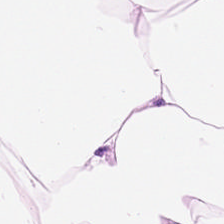H&E-stained tissue section — {"tissue_type": "adipose tissue"}
